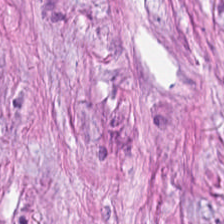Stain: H&E-stained tissue section.
Tissue class: desmoplastic stroma.
